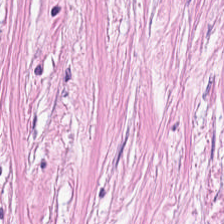H&E. 224×224 pixel tile. This patch shows desmoplastic stroma.
